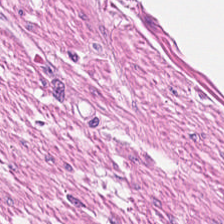Q: What does this patch show?
A: The field shows smooth muscle.
